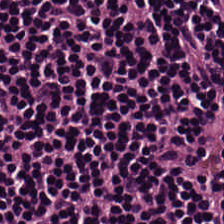This patch shows lymphoid infiltrate.
